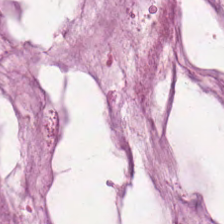0.5 µm/px. 224×224 px patch. Hematoxylin and eosin.
Predominant tissue — extracellular mucin.
